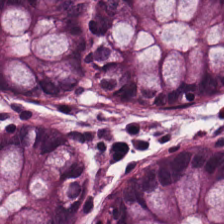Stain: hematoxylin-and-eosin stained section.
Tissue: normal colonic mucosa.
